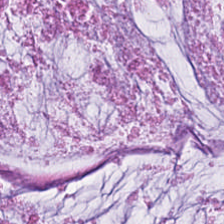Tissue type = extracellular mucin.
